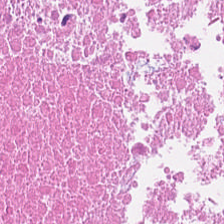Hematoxylin-and-eosin stained section.
Tissue — debris.
